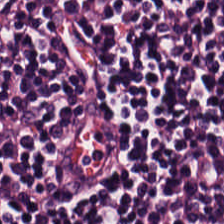H&E stain — Q: What tissue is shown?
A: Lymphocyte aggregate.
